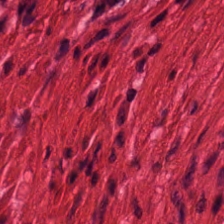Q: What is the predominant tissue type?
A: It is smooth muscle.
